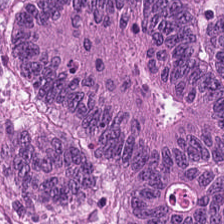0.5 µm per pixel. Hematoxylin-and-eosin stained section. Q: What tissue is shown?
A: The field shows colorectal adenocarcinoma.
